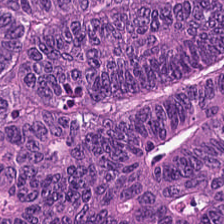224×224 px tile; hematoxylin and eosin.
Tissue class — colorectal adenocarcinoma.
